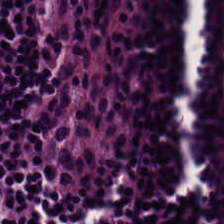Stain: H&E stain.
Acquisition: brightfield microscopy.
Preparation: FFPE tissue section.
Classification: lymphocyte aggregate.
